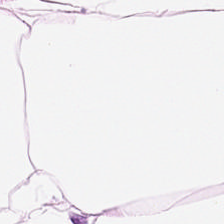Stain: H&E stain.
Tile size: 224×224 px tile.
Acquisition: WSI patch.
Classification: adipocytes.
